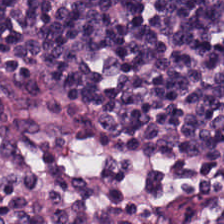H&E-stained tissue section. Tissue class = lymphocyte aggregate.
